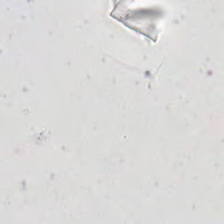H&E-stained tissue section.
Empty background.
